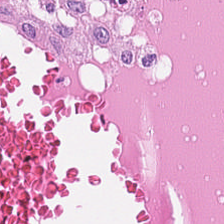H&E stain. FFPE tissue section. Finding → debris.
